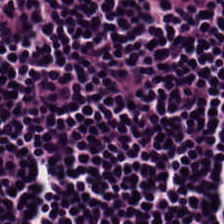Predominant tissue: lymphocyte aggregate.
